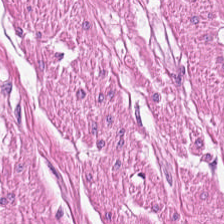Classification — muscularis.
